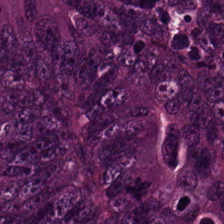H&E-stained tissue section.
Adenocarcinoma.
